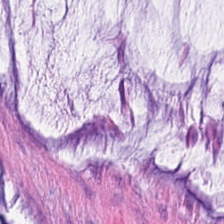Stain: H&E stain.
Tile size: 224×224 px patch.
Acquisition: WSI patch.
Tissue: mucin.
